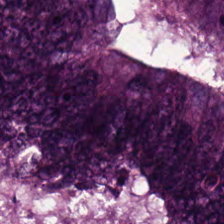H&E-stained tissue section.
Tissue type — tumor epithelium.
